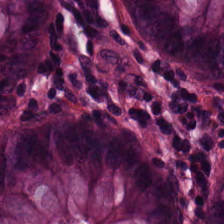224×224 px patch · H&E. Q: What is shown here?
A: It is normal colonic mucosa.
